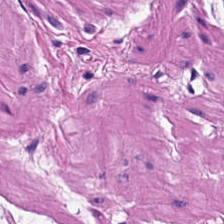H&E stain. Brightfield. FFPE tissue section. Q: What is the predominant tissue type?
A: The field shows smooth muscle.
